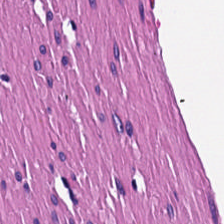H&E · 0.5 µm per pixel · formalin-fixed paraffin-embedded section. Q: What is the predominant tissue type?
A: This is smooth muscle.
